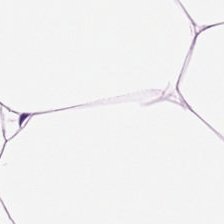Brightfield; H&E-stained tissue section.
Predominant tissue — adipose.
